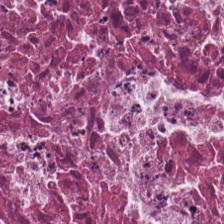Hematoxylin and eosin. Showing cellular debris.
